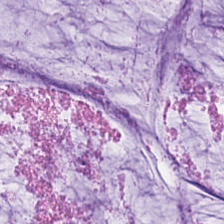H&E stain.
Mucus.
